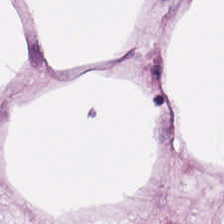H&E-stained tissue section. The predominant tissue is adipose.
